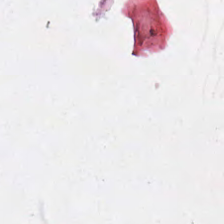0.5 microns per pixel; 224×224 pixel tile; hematoxylin-and-eosin stained section.
This patch shows empty background.
